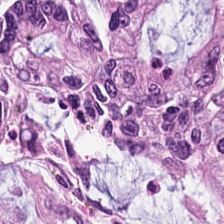Hematoxylin and eosin.
Tissue class — tumor epithelium.
